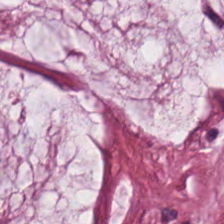Predominant tissue: extracellular mucin.
